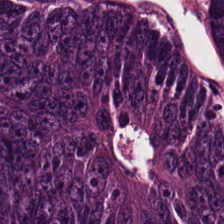Hematoxylin-and-eosin section: colorectal adenocarcinoma.
